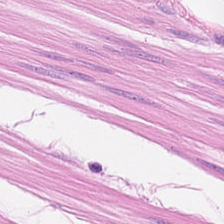H&E-stained tissue section showing smooth muscle.
